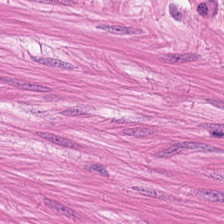Formalin-fixed paraffin-embedded section; H&E-stained tissue section; brightfield.
Predominantly smooth muscle.
